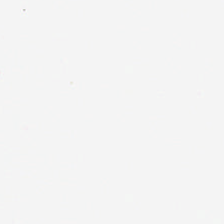Hematoxylin and eosin — This field is background (no tissue).
